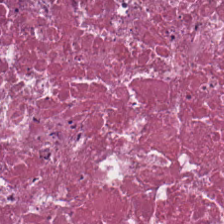H&E-stained tissue section — Predominantly necrotic debris.
